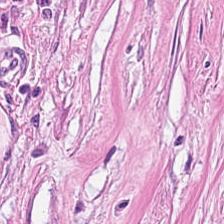Brightfield · hematoxylin and eosin. Q: What is shown in this field?
A: It is desmoplastic stroma.
